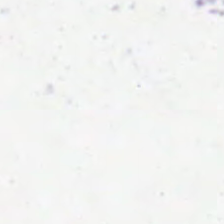H&E stain — Background — no tissue in this field.
